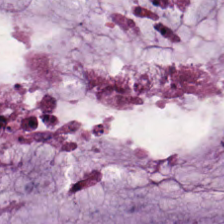Stain: hematoxylin-and-eosin stained section.
Classification: mucus.
